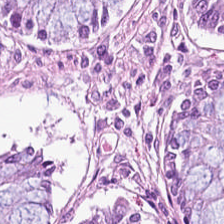H&E — non-neoplastic colon mucosa.
